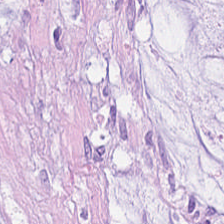Tissue type = extracellular mucin.
